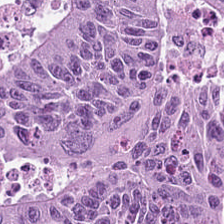H&E-stained tissue section — Tumor epithelium.
